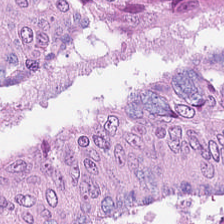Predominantly malignant epithelium.
